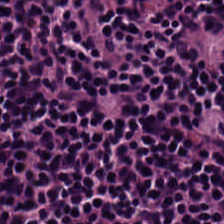H&E.
Tissue class = lymphocytes.
